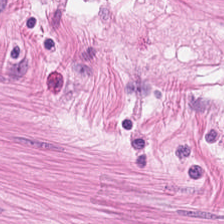Hematoxylin-and-eosin stained section — Tissue = muscularis.
